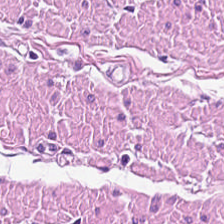H&E — The tissue here is smooth muscle.
